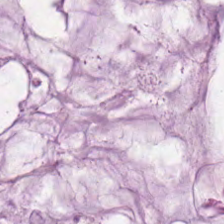Hematoxylin and eosin.
This field is extracellular mucin.
